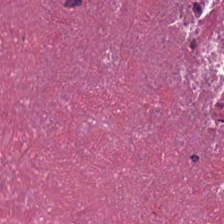Formalin-fixed paraffin-embedded section. Hematoxylin and eosin. Predominant tissue: cellular debris.
